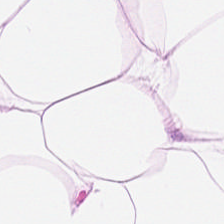Hematoxylin-and-eosin stained section.
Q: What type of tissue is this?
A: This is adipose tissue.
